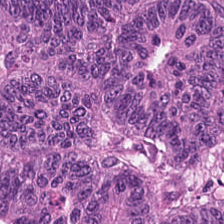H&E-stained tissue section; WSI patch.
Histology — colorectal adenocarcinoma.
